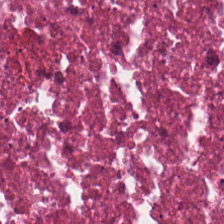Hematoxylin and eosin. 224×224 px patch. The predominant tissue is necrotic debris.
